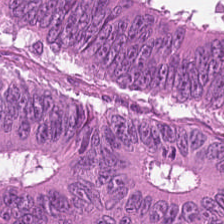H&E-stained tissue section.
The tissue type is colorectal adenocarcinoma epithelium.
